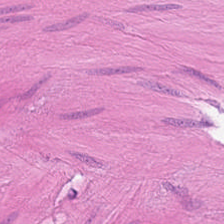Brightfield microscopy; H&E stain.
Smooth-muscle tissue.
